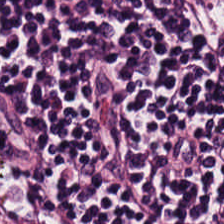FFPE · H&E. Predominantly lymphocytes.
